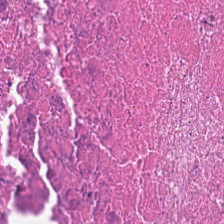Stain: H&E-stained tissue section.
Tile size: 224×224 px tile.
Tissue type: cellular debris.
